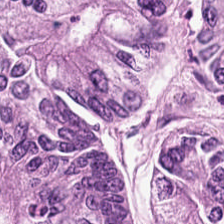Formalin-fixed paraffin-embedded section. Hematoxylin-and-eosin stained section. WSI patch — Q: What type of tissue is this?
A: The field shows tumor epithelium.
